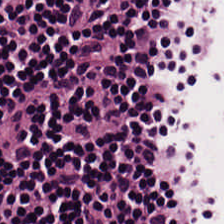H&E stain.
Impression — lymphocytic infiltrate.
